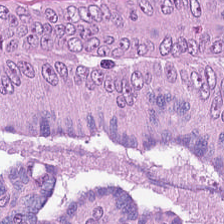The tissue here is tumor epithelium.
